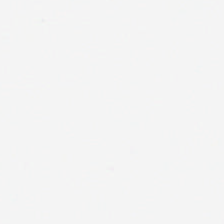Stain: H&E.
Tile size: 224×224 px tile.
Content: empty background.
